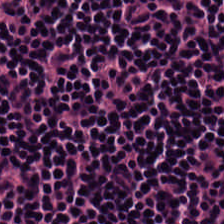Stain: H&E.
Tissue class: lymphoid infiltrate.
